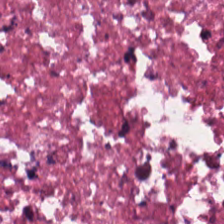0.5 µm/px; H&E — Tissue type = cellular debris.
